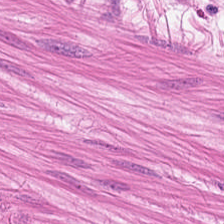H&E; FFPE. This patch shows smooth muscle.
